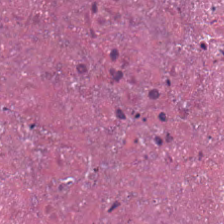Hematoxylin-and-eosin stained section — The tissue is necrotic debris.
